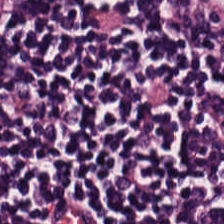H&E stain — This patch shows lymphocytes.
